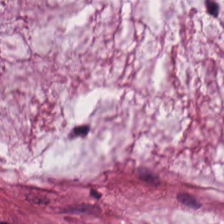H&E stain — The predominant tissue is extracellular mucin.
